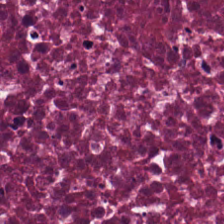Hematoxylin-and-eosin stained section.
Predominantly cellular debris.
